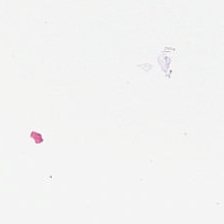20× equivalent magnification; H&E-stained tissue section; WSI patch — Histology — background (no tissue).
